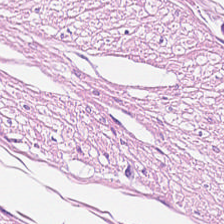Showing smooth-muscle tissue.
